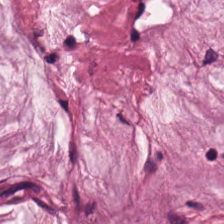Hematoxylin and eosin — Q: Identify the tissue.
A: Extracellular mucin.
